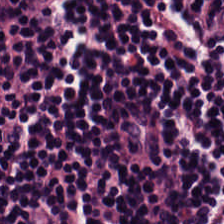Hematoxylin-and-eosin stained section. Predominantly lymphocyte aggregate.
